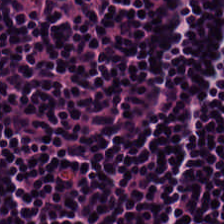H&E — lymphocyte aggregate.
